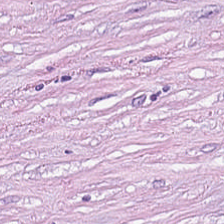Stain: hematoxylin and eosin.
Tissue: tumor stroma.
